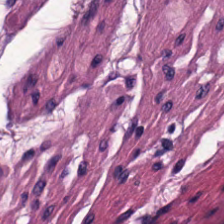H&E stain — Tissue type — smooth muscle.
